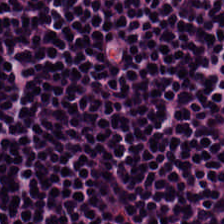H&E stain. 0.5 µm per pixel. This patch shows lymphocytes.
